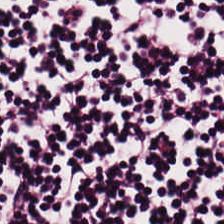Q: Classify this patch.
A: The field shows lymphocyte aggregate.
